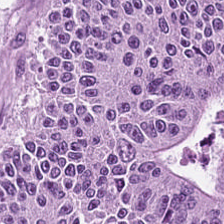Tissue class — colorectal adenocarcinoma epithelium.
